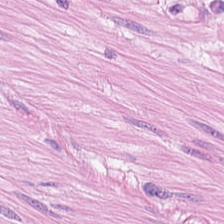0.5 µm/px. Hematoxylin and eosin.
Showing smooth-muscle tissue.
